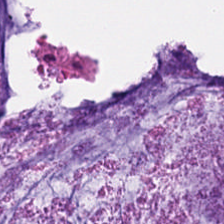This field is mucus.
